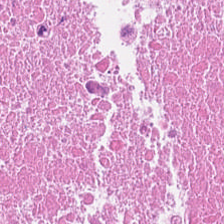Hematoxylin-and-eosin stained section.
Classification: cellular debris.
